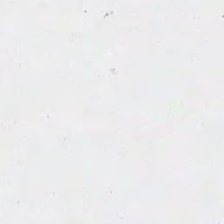Finding — background.
